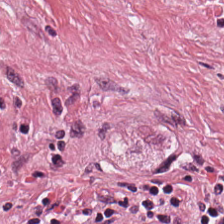224×224 px patch · H&E-stained tissue section.
Tissue type: desmoplastic stroma.
